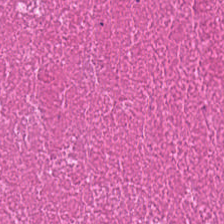Brightfield microscopy. 224×224 pixel tile. Hematoxylin-and-eosin stained section.
{"tissue_type": "cellular debris"}
